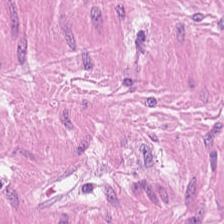H&E stain. Predominantly smooth muscle.
